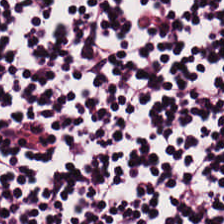Q: What tissue type is shown here?
A: It is lymphocytic infiltrate.
